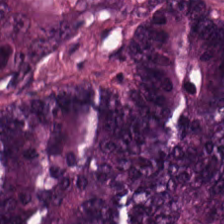Q: What is the predominant tissue type?
A: Colorectal adenocarcinoma.
